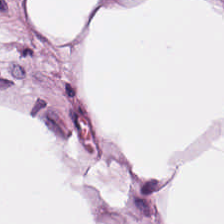FFPE; H&E stain. Predominantly adipose.
